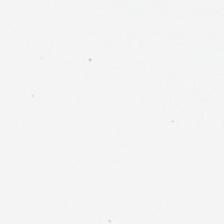FFPE · H&E-stained tissue section.
The classification is no tissue.
